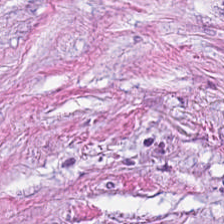H&E. Q: What is shown in this field?
A: It is cancer-associated stroma.
